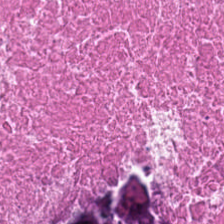Q: Identify the tissue.
A: It is necrotic debris.
